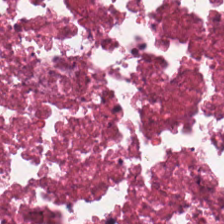Debris.
